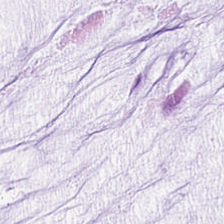Whole-slide-image patch. H&E stain.
Finding — extracellular mucin.
